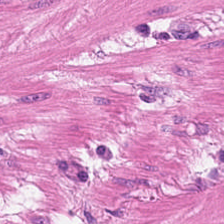Hematoxylin and eosin.
Impression → smooth muscle.
